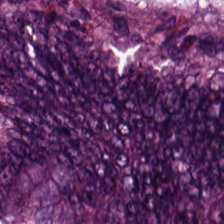The predominant tissue is colorectal adenocarcinoma.
